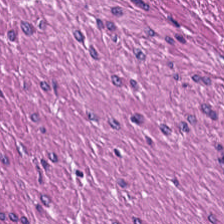Hematoxylin and eosin — Tissue class = muscularis.
